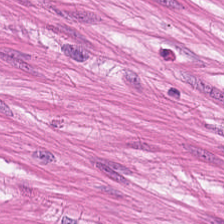H&E stain — Q: What is shown in this field?
A: This is smooth-muscle tissue.
